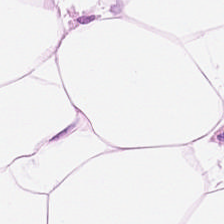H&E-stained section; the field shows fat tissue.
